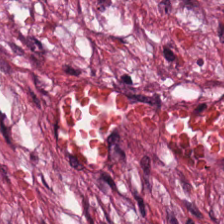Hematoxylin and eosin — {"tissue_type": "tumor-associated stroma"}
